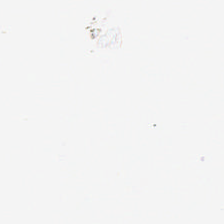Stain: H&E stain.
Field content: empty background.
